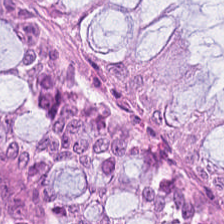H&E-stained tissue section — The tissue here is benign colonic mucosa.
